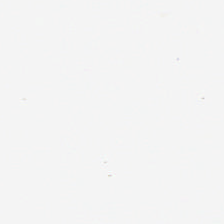Whole-slide-image patch; H&E-stained tissue section; 224×224 px patch — No tissue.
